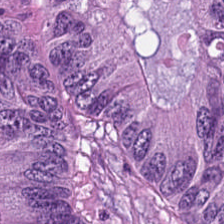Hematoxylin-and-eosin stained section — Q: What is shown here?
A: This is colorectal adenocarcinoma.
